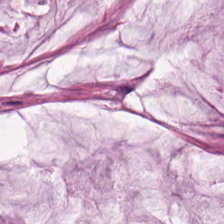H&E-stained tissue section · 20× equivalent magnification — Q: Classify this patch.
A: It is mucus.
